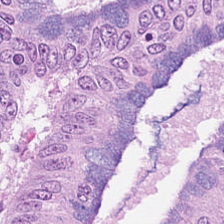Stain: H&E.
Tissue: tumor epithelium.
